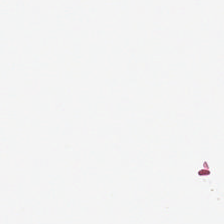20× equivalent magnification · hematoxylin-and-eosin stained section.
Empty field — background.
